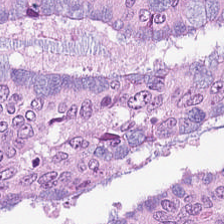Q: What is shown here?
A: Colorectal adenocarcinoma.
